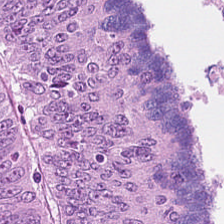Brightfield microscopy. Hematoxylin and eosin. FFPE tissue section. Predominantly tumor epithelium.
